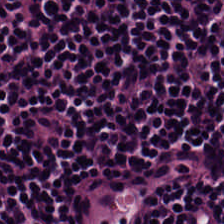Hematoxylin and eosin — {"tissue_type": "lymphocytes"}
